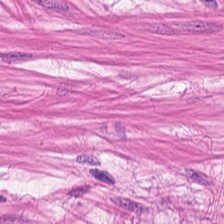H&E-stained tissue section; 224×224 px tile.
Q: What tissue is shown?
A: This is muscularis.
